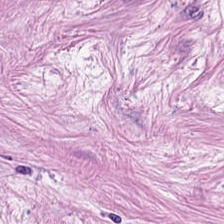224×224 px tile · H&E stain.
{"tissue_type": "cancer-associated stroma"}
